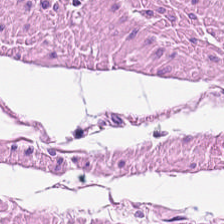Hematoxylin and eosin; 224×224 px patch; WSI patch. Smooth muscle.
